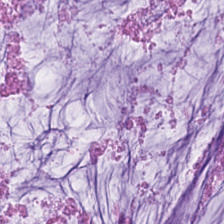0.5 µm/px; H&E-stained tissue section. Showing mucin.
